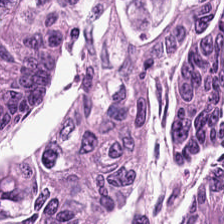Formalin-fixed paraffin-embedded section. Hematoxylin and eosin. WSI patch. Showing adenocarcinoma.
